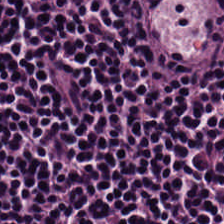0.5 microns per pixel · H&E-stained tissue section · 224×224 px patch — Finding → lymphocyte aggregate.
